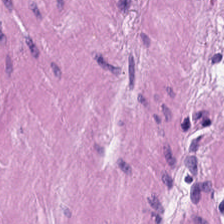H&E stain — {"tissue_type": "smooth-muscle tissue"}
